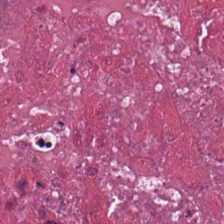Q: Identify the tissue.
A: The field shows cellular debris.
